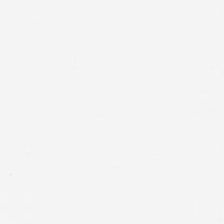H&E stain · 224×224 px tile · FFPE tissue section. Classification = background.
